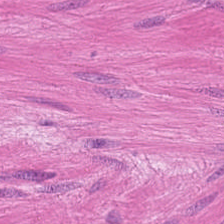FFPE tissue section · hematoxylin and eosin.
Predominantly smooth-muscle tissue.
